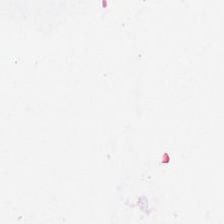H&E. 20× equivalent magnification. Content — background.
